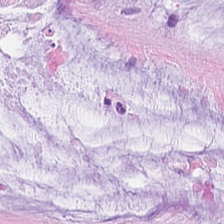Mucus.
